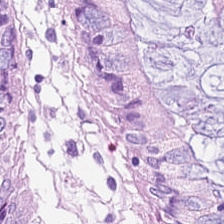Hematoxylin-and-eosin stained section; brightfield microscopy. Predominantly normal colon mucosa.
